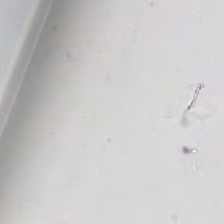Stain: H&E.
Preparation: FFPE tissue section.
Field content: background.
